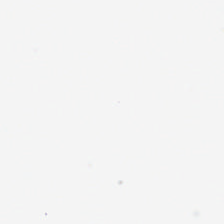No tissue present; background only.
